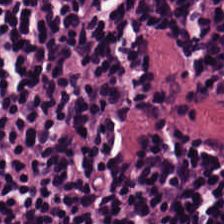Impression → lymphocyte aggregate.
